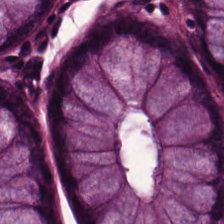Predominant tissue: normal colonic mucosa.
